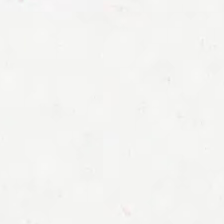H&E.
Q: What is shown in this field?
A: No tissue.
